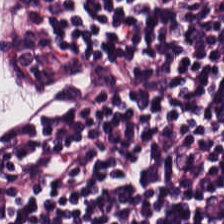WSI patch; H&E; 0.5 µm/px — This patch shows lymphocytic infiltrate.
